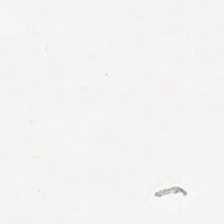Q: What is shown here?
A: It is background.
